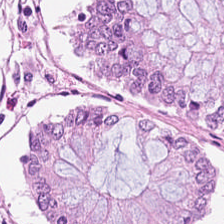H&E-stained tissue section — Classification: normal colon mucosa.
